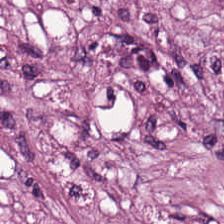Hematoxylin-and-eosin stained section · 224×224 px patch — Q: What is shown here?
A: This is desmoplastic stroma.
